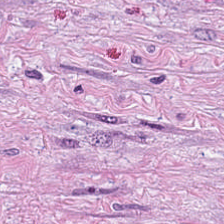Stain: hematoxylin-and-eosin stained section.
Tissue type: desmoplastic stroma.
